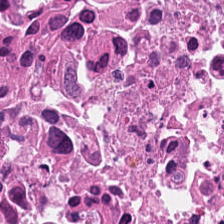{"tissue_type": "necrotic debris"}
